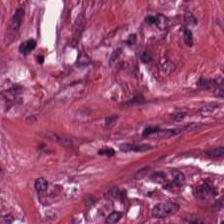Tissue type: cancer-associated stroma.
